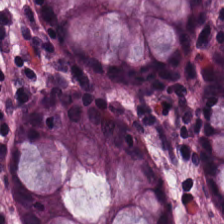Stain: H&E stain.
Preparation: FFPE tissue section.
Classification: benign colonic mucosa.
